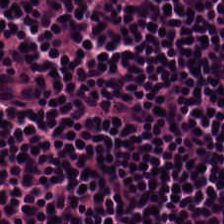224×224 px tile; formalin-fixed paraffin-embedded section; H&E stain — The tissue type is lymphoid infiltrate.
